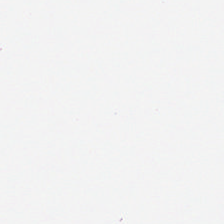No tissue.
